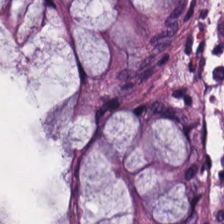Finding — normal colon mucosa.
